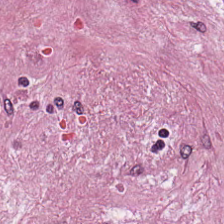224×224 pixel tile; hematoxylin-and-eosin stained section — The predominant tissue is tumor-associated stroma.
